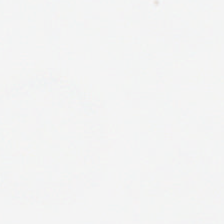H&E; brightfield microscopy.
Impression → background.
